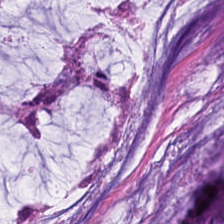Hematoxylin and eosin. Tissue class = extracellular mucin.
